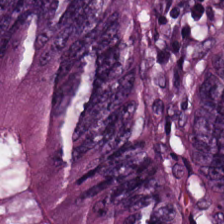H&E.
Classification = colorectal adenocarcinoma epithelium.
